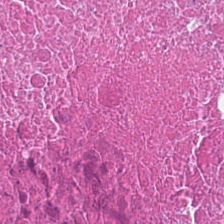H&E stain — Predominant tissue — cellular debris.
